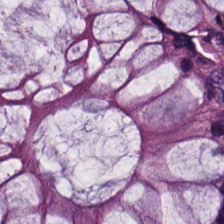The predominant tissue is normal colonic mucosa.
